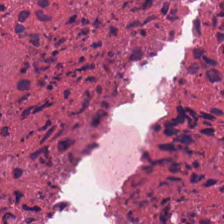Hematoxylin-and-eosin stained section · 20× equivalent magnification — Tissue = cellular debris.
